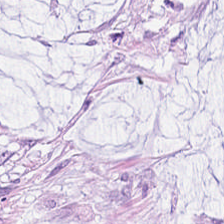H&E — Predominantly mucin.
